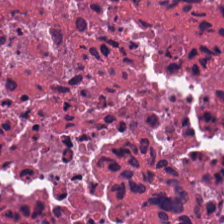Hematoxylin and eosin. 20× equivalent magnification. Q: What tissue type is shown here?
A: This is debris.
